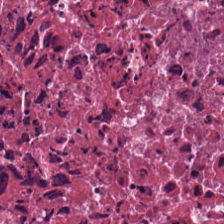H&E-stained tissue section.
The tissue here is cellular debris.
